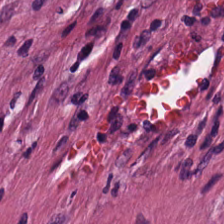Hematoxylin and eosin — Histology — cancer-associated stroma.
